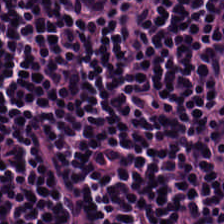H&E.
This patch shows lymphocytic infiltrate.
